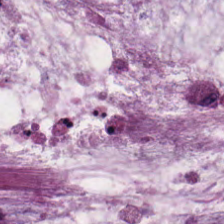Stain: hematoxylin-and-eosin stained section.
Resolution: 0.5 µm per pixel.
Acquisition: brightfield.
Tissue: mucus.
